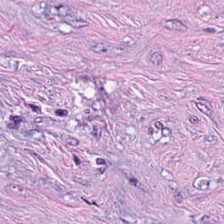H&E. Showing tumor stroma.
